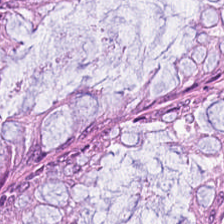H&E patch showing normal colon mucosa.
